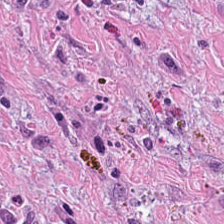The predominant tissue is cancer-associated stroma.
